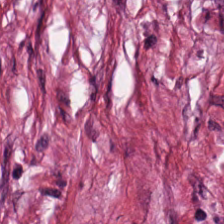Whole-slide-image patch. Hematoxylin and eosin. 224×224 px tile. Tissue class — tumor-associated stroma.
